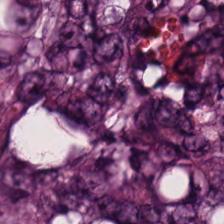Hematoxylin and eosin · whole-slide-image patch · 224×224 px tile.
Predominant tissue: colorectal adenocarcinoma.
